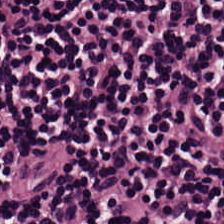Hematoxylin-and-eosin stained section; 224×224 px patch — Q: What is the predominant tissue type?
A: This is lymphocyte aggregate.
